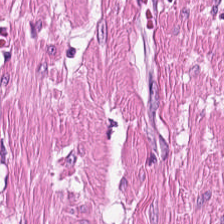H&E-stained tissue section. 224×224 px patch — Tissue class — smooth-muscle tissue.
